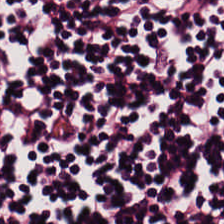Formalin-fixed paraffin-embedded section. H&E — Predominant tissue — lymphocytes.
